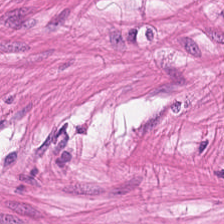Stain: H&E stain.
Tissue: smooth-muscle tissue.
